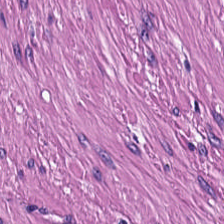H&E-stained tissue section — Q: What type of tissue is this?
A: This is smooth muscle.
